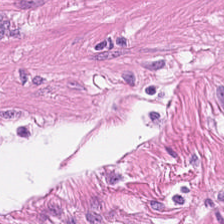H&E. Impression → muscularis.
